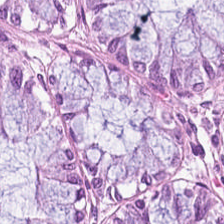Q: What tissue is shown?
A: It is non-neoplastic colon mucosa.
